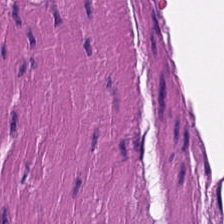Finding — smooth muscle.
